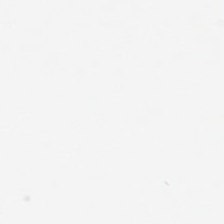H&E · 0.5 µm per pixel. The field content is background.
